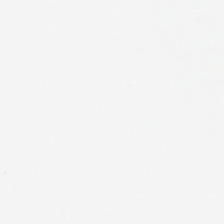H&E; FFPE tissue section. Field content: background.
